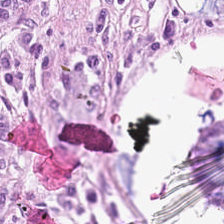H&E; 224×224 pixel tile; FFPE — Classification — benign colonic mucosa.
